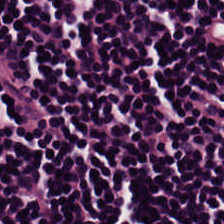H&E-stained tissue section. Formalin-fixed paraffin-embedded section. Histology — lymphocytes.
